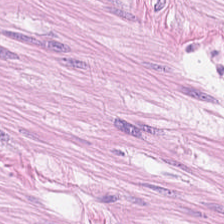This patch shows smooth muscle.
